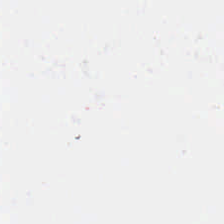Whole-slide-image patch; formalin-fixed paraffin-embedded section; hematoxylin and eosin.
Q: What is shown here?
A: Empty background.
